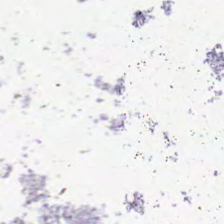Field content = empty background.
